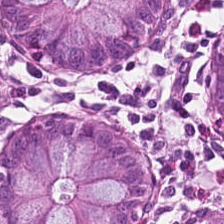Impression → benign colonic mucosa.
